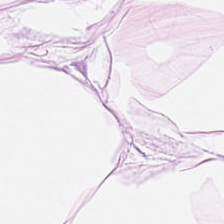H&E-stained tissue section.
Impression — adipocytes.
